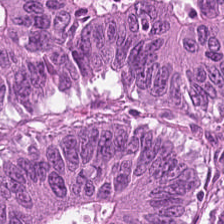Hematoxylin and eosin — Classification: tumor epithelium.
